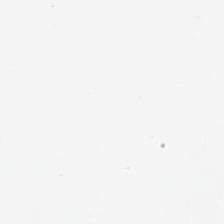Brightfield. Hematoxylin-and-eosin stained section. 20× equivalent magnification. Field content — background (no tissue).
